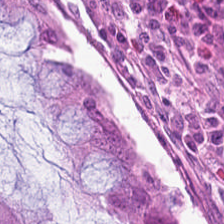Hematoxylin and eosin. Predominantly normal colon mucosa.
